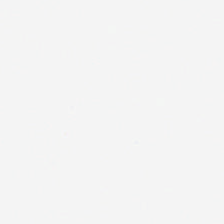20× equivalent magnification · WSI patch · H&E-stained tissue section — Q: Classify this patch.
A: Empty background.
